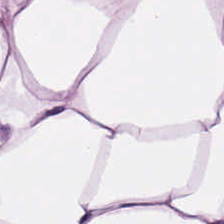Hematoxylin-and-eosin section: fat tissue.
